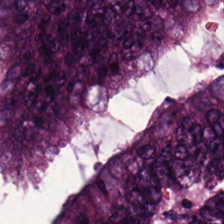Hematoxylin and eosin · whole-slide-image patch · 224×224 px tile. Impression — malignant epithelium.
